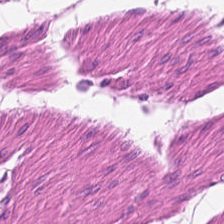Hematoxylin and eosin · 0.5 microns per pixel · whole-slide-image patch. This field is muscularis.
